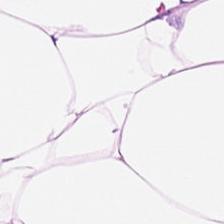The classification is adipose.
